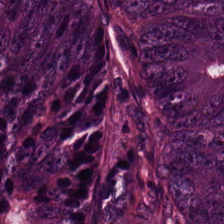Stain: H&E stain.
Acquisition: brightfield.
Tile size: 224×224 pixel tile.
Tissue: tumor epithelium.
